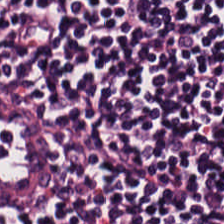H&E · whole-slide-image patch.
Predominantly lymphocytes.
